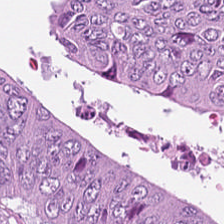H&E-stained tissue section · formalin-fixed paraffin-embedded section · whole-slide-image patch.
Predominantly adenocarcinoma.
